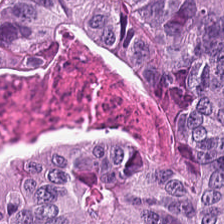H&E-stained tissue section; formalin-fixed paraffin-embedded section — Finding → malignant epithelium.
